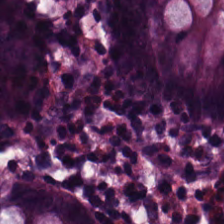Hematoxylin-and-eosin stained section.
This patch shows normal colon mucosa.
